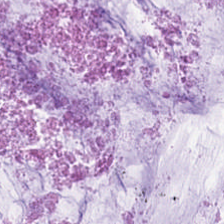H&E — mucus.
